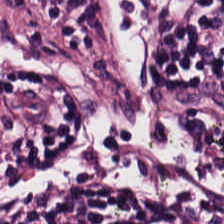Histology — lymphocytes.
